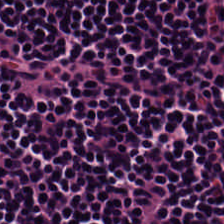H&E-stained tissue section.
Q: What tissue is shown?
A: Lymphocytes.
